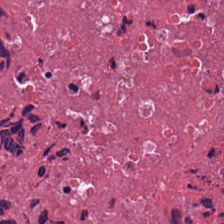Hematoxylin and eosin — Debris.
